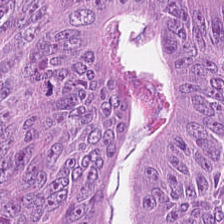H&E stain; 0.5 microns per pixel. Histology — colorectal adenocarcinoma.
